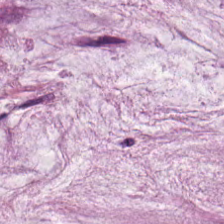H&E — The predominant tissue is mucin.
